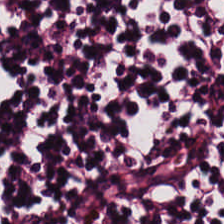Impression — lymphocytic infiltrate.
